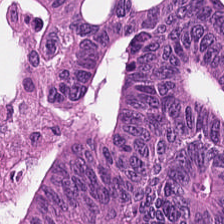The predominant tissue is colorectal adenocarcinoma epithelium.
